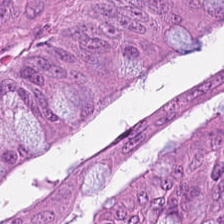FFPE tissue section; H&E-stained tissue section — Q: What is shown in this field?
A: This is tumor epithelium.
